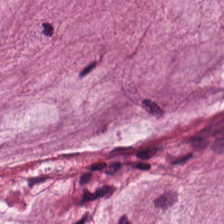Brightfield microscopy · H&E stain. The predominant tissue is mucin.
